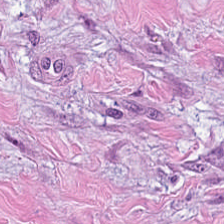Hematoxylin-and-eosin stained section — Finding — desmoplastic stroma.
